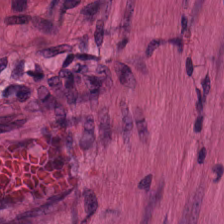Histology — smooth-muscle tissue.
